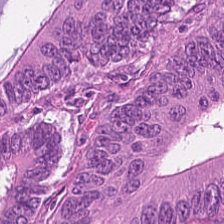H&E stain — {"tissue_type": "tumor epithelium"}
